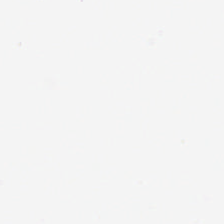Formalin-fixed paraffin-embedded section. H&E. 20× equivalent magnification.
Q: What is shown in this field?
A: The field shows empty background.
